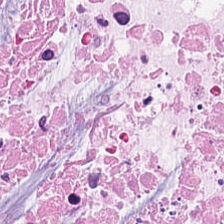Hematoxylin and eosin.
Histology — necrotic debris.
